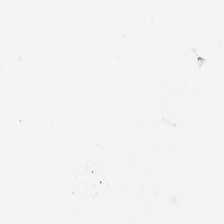H&E stain. Empty field — background (no tissue).
